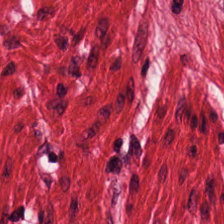H&E — smooth-muscle tissue.
